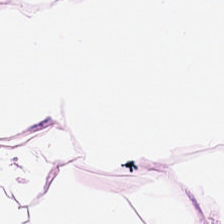Q: What tissue is shown?
A: It is adipocytes.
